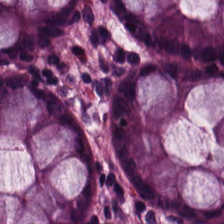H&E stain. WSI patch — Tissue type = normal colonic mucosa.
